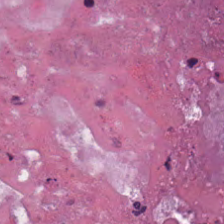H&E-stained tissue section.
The predominant tissue is debris.
